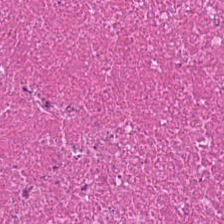Hematoxylin-and-eosin stained section.
The predominant tissue is cellular debris.
